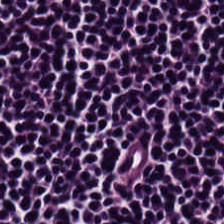Impression → lymphocytic infiltrate.
